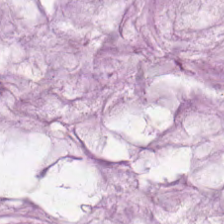FFPE tissue section · H&E · 224×224 px tile.
Classification — mucin.
